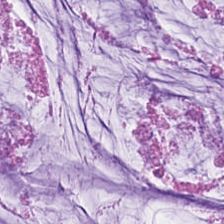Hematoxylin-and-eosin section: extracellular mucin.
